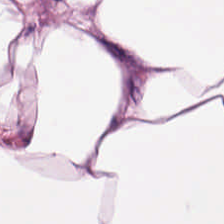{"tissue_type": "adipocytes"}
